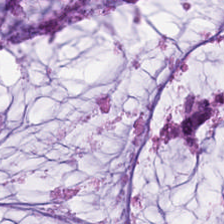Hematoxylin-and-eosin stained section.
The predominant tissue is extracellular mucin.
